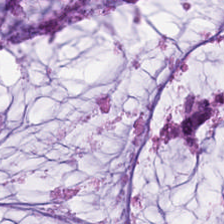Hematoxylin-and-eosin stained section.
The predominant tissue is extracellular mucin.
